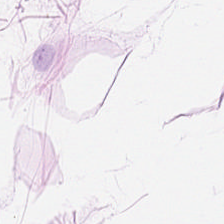0.5 microns per pixel. H&E-stained tissue section. Q: What tissue type is shown here?
A: Adipose.
